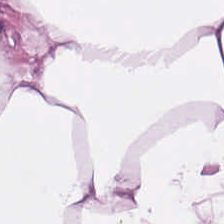FFPE tissue section · H&E stain · 0.5 microns per pixel — Adipose.
